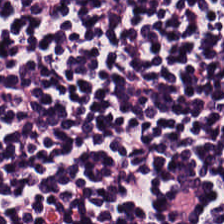H&E-stained tissue section. Showing lymphocyte aggregate.
